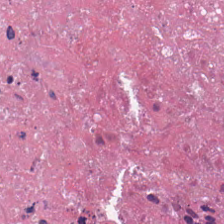H&E-stained tissue section. The predominant tissue is cellular debris.
